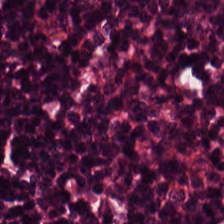H&E-stained tissue section. Impression — lymphocyte aggregate.
